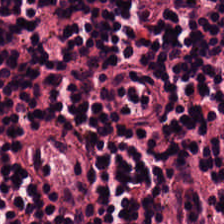H&E-stained tissue section.
Predominant tissue = lymphocyte aggregate.
